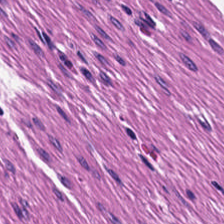0.5 µm/px · 224×224 px tile · H&E-stained tissue section — This field is muscularis.
